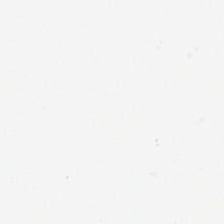H&E stain. FFPE. 20× equivalent magnification.
Content — background (no tissue).
